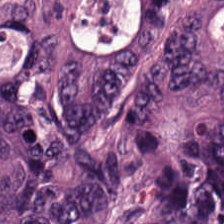H&E-stained tissue section. This patch shows colorectal adenocarcinoma epithelium.
